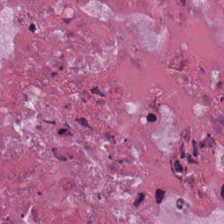Hematoxylin-and-eosin stained section; FFPE tissue section — Debris.
